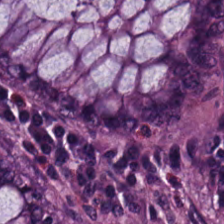The tissue class is normal colon mucosa.
